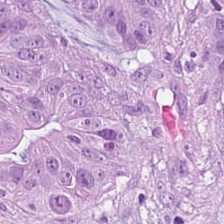H&E-stained section; the field shows colorectal adenocarcinoma epithelium.
